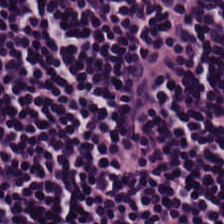Showing lymphoid infiltrate.
